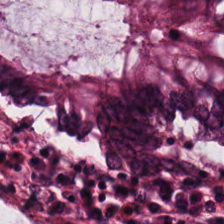H&E.
Impression — normal colon mucosa.
